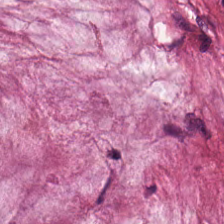Mucin.
